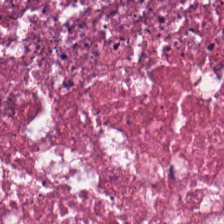224×224 px patch. Hematoxylin and eosin — This patch shows debris.
